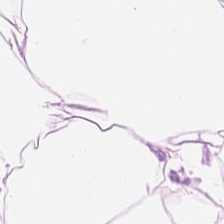Whole-slide-image patch; H&E stain.
Predominantly adipose tissue.
